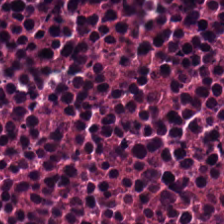FFPE. H&E-stained tissue section — Predominantly necrotic debris.
